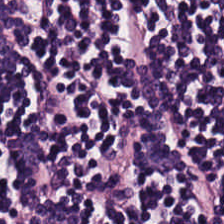0.5 µm per pixel; H&E stain — Q: What type of tissue is this?
A: It is lymphoid infiltrate.
